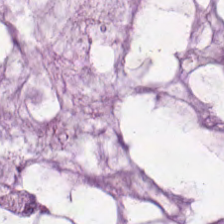The tissue here is extracellular mucin.
